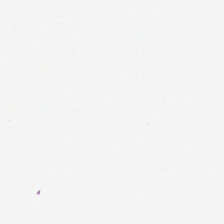Q: What is shown in this field?
A: It is empty background.
